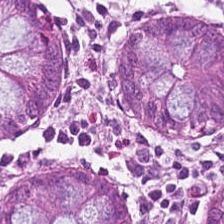224×224 pixel tile. Hematoxylin-and-eosin stained section. Histology — normal colonic mucosa.
